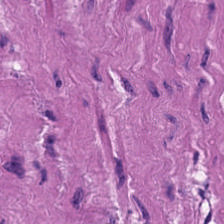H&E-stained tissue section. Whole-slide-image patch. Predominantly smooth-muscle tissue.
